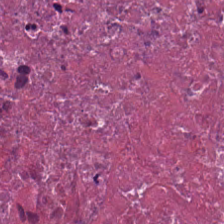H&E stain — Showing cellular debris.
